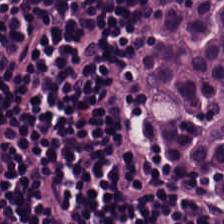H&E stain. The tissue class is lymphocytic infiltrate.
